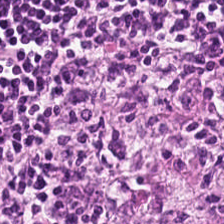Hematoxylin and eosin. Histology → lymphoid infiltrate.
